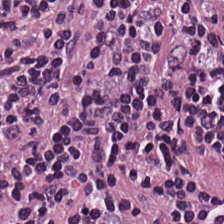H&E stain — Histology → lymphocyte aggregate.
